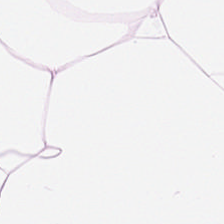Hematoxylin-and-eosin stained section — {"tissue_type": "fat tissue"}
